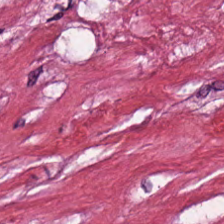Hematoxylin and eosin; 0.5 microns per pixel; whole-slide-image patch. This patch shows tumor stroma.
